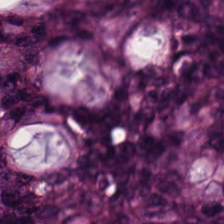Q: What is shown in this field?
A: Malignant epithelium.
